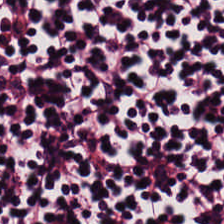H&E stain — The predominant tissue is lymphoid infiltrate.
